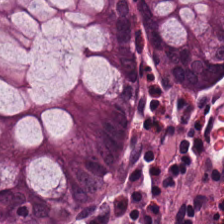224×224 px patch. H&E stain. WSI patch — The tissue here is normal colon mucosa.
